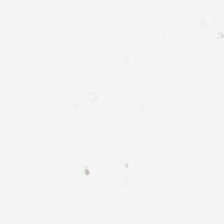Whole-slide-image patch · H&E. Classification — background (no tissue).
